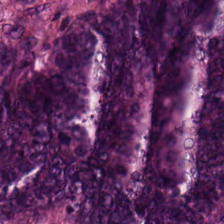Hematoxylin and eosin — Q: What is shown in this field?
A: This is adenocarcinoma.
